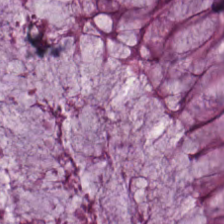Stain: hematoxylin-and-eosin stained section.
Tissue type: benign colonic mucosa.
